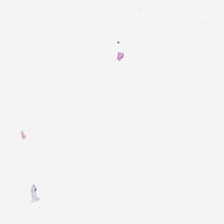Hematoxylin-and-eosin stained section. No tissue present; background only.
